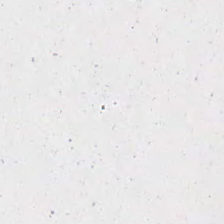Hematoxylin and eosin. 20× equivalent magnification — Background.
